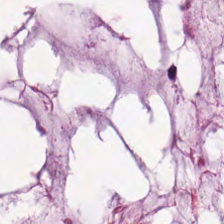Tissue type = mucin.
